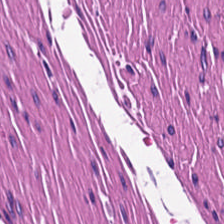Tissue type = smooth-muscle tissue.
